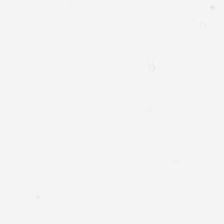20× equivalent magnification. Hematoxylin and eosin. Background (no tissue).
